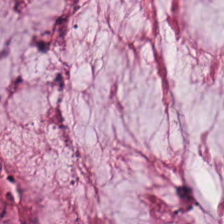Hematoxylin and eosin. Predominant tissue = mucin.
